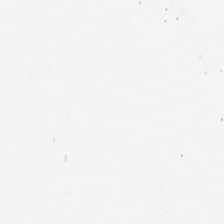Hematoxylin-and-eosin stained section — Background — no tissue in this field.
